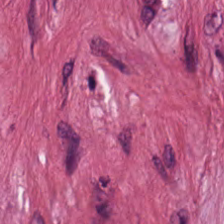Whole-slide-image patch · H&E.
Tissue class — desmoplastic stroma.
